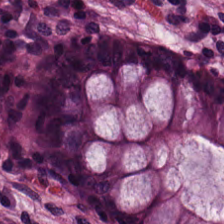Predominant tissue = normal colon mucosa.
